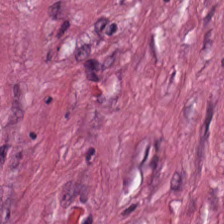Stain: hematoxylin and eosin.
Tissue class: tumor stroma.
